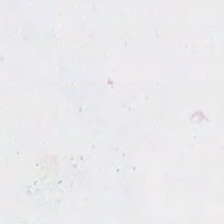No tissue present; background only.
